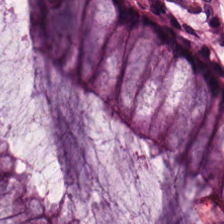H&E stain — {"tissue_type": "non-neoplastic colon mucosa"}
